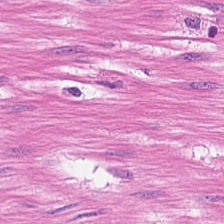H&E-stained tissue section.
Predominantly smooth muscle.
